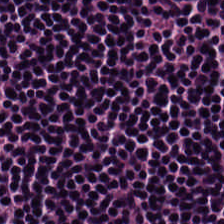Showing lymphocytes.
